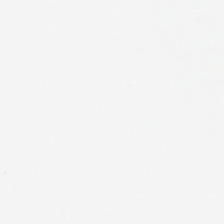Brightfield microscopy; hematoxylin-and-eosin stained section.
Finding → no tissue.
